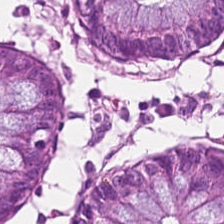H&E stain.
Classification = normal colonic mucosa.
